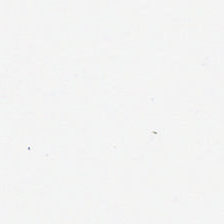Background — no tissue in this field.
